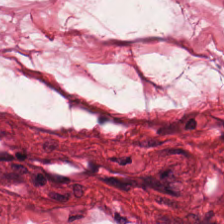20× equivalent magnification. Hematoxylin and eosin. Brightfield microscopy.
Q: What does this patch show?
A: It is smooth muscle.
